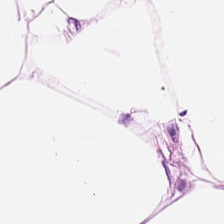0.5 µm per pixel · hematoxylin and eosin. Q: What is shown in this field?
A: It is fat tissue.
